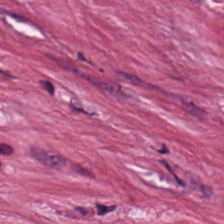H&E-stained tissue section. Classification: cancer-associated stroma.
